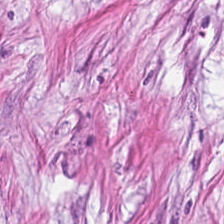H&E-stained tissue section.
Tissue — cancer-associated stroma.
